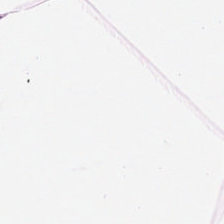H&E.
Q: What tissue type is shown here?
A: Adipose.
